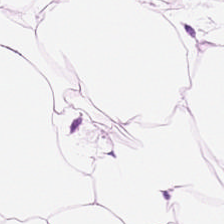H&E-stained tissue section.
Predominant tissue = adipose tissue.
